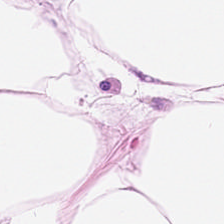H&E — Q: What tissue type is shown here?
A: It is adipose tissue.
